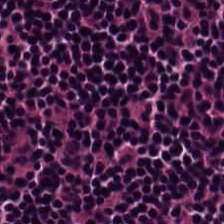Impression → lymphocytes.
